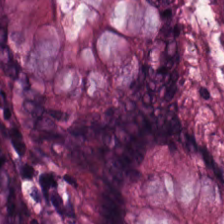Tissue class = benign colonic mucosa.
